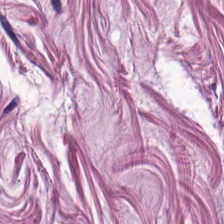{"tissue_type": "smooth muscle"}
